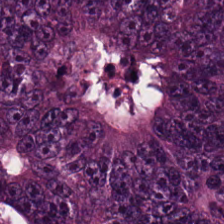Hematoxylin and eosin; FFPE tissue section. Q: What tissue type is shown here?
A: This is malignant epithelium.
